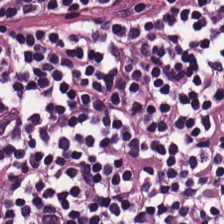Q: What tissue is shown?
A: The field shows lymphocytes.
